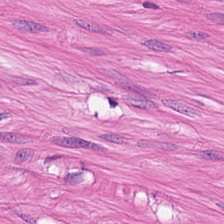Predominant tissue — smooth muscle.
